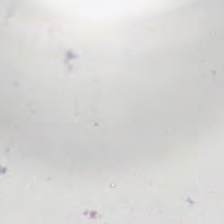H&E.
Background (no tissue).
